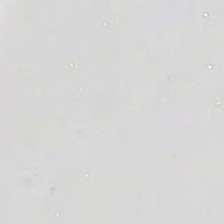{"content": "background (no tissue)"}
